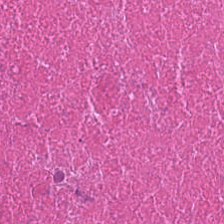Hematoxylin-and-eosin stained section — Classification: cellular debris.
